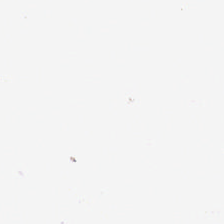Hematoxylin-and-eosin stained section · 0.5 µm per pixel · brightfield microscopy.
Field content — background (no tissue).
